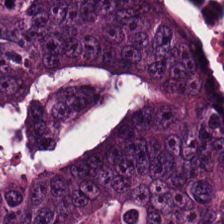Tissue: colorectal adenocarcinoma epithelium.
